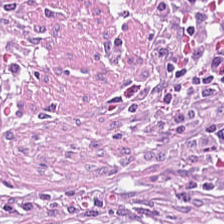Stain: hematoxylin and eosin.
Acquisition: brightfield.
Classification: tumor-associated stroma.
